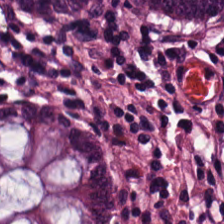The tissue class is non-neoplastic colon mucosa.
